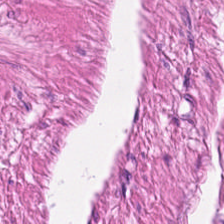Tissue type: smooth muscle.
